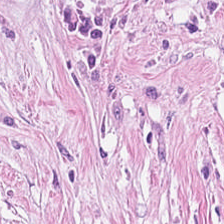Hematoxylin and eosin · formalin-fixed paraffin-embedded section — Impression → tumor-associated stroma.
